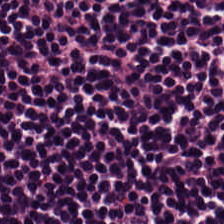H&E-stained tissue section. Q: What is the predominant tissue type?
A: The field shows lymphocyte aggregate.
